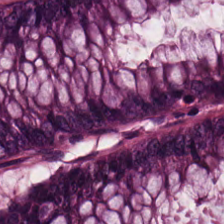H&E-stained tissue section showing benign colonic mucosa.
